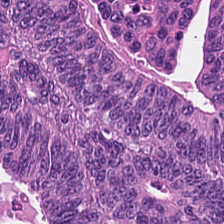H&E; brightfield — The predominant tissue is tumor epithelium.
